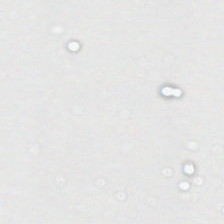H&E. No tissue present; background only.
